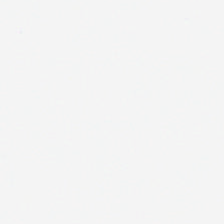Stain: H&E stain.
Content: no tissue.
